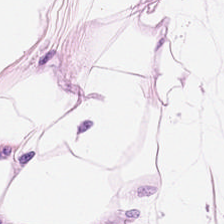Stain: hematoxylin and eosin.
Tissue class: adipose tissue.
